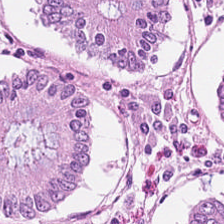H&E-stained tissue section; 224×224 px tile.
Benign colonic mucosa.
